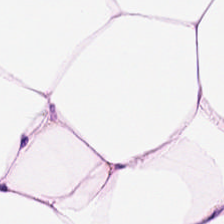H&E stain. Finding — adipocytes.
